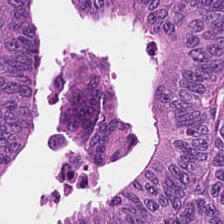WSI patch. Hematoxylin-and-eosin stained section. Formalin-fixed paraffin-embedded section — The predominant tissue is tumor epithelium.
